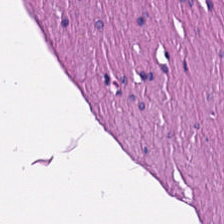Hematoxylin and eosin.
Impression → smooth-muscle tissue.
